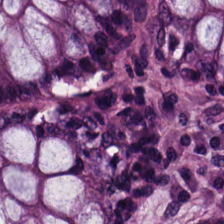H&E stain.
Tissue — normal colon mucosa.
